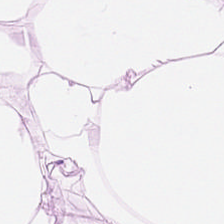H&E stain.
Showing adipose tissue.
